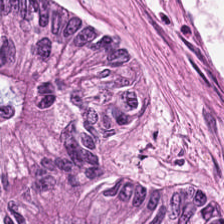Hematoxylin and eosin; FFPE tissue section; 0.5 microns per pixel.
The predominant tissue is tumor epithelium.
